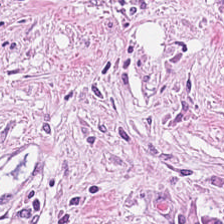Classification = cancer-associated stroma.
